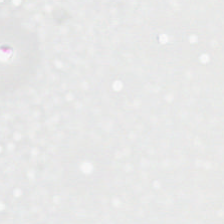Hematoxylin and eosin.
Background — no tissue in this field.
